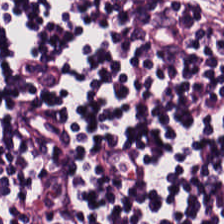Whole-slide-image patch · H&E stain. The tissue class is lymphocyte aggregate.
